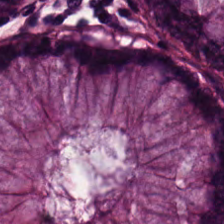Hematoxylin and eosin — Tissue class: non-neoplastic colon mucosa.
